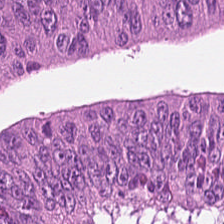WSI patch · H&E.
Finding → adenocarcinoma.
